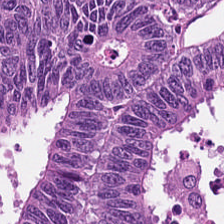Predominant tissue: colorectal adenocarcinoma epithelium.
